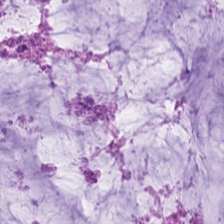H&E stain; brightfield microscopy; formalin-fixed paraffin-embedded section — Histology → mucus.
